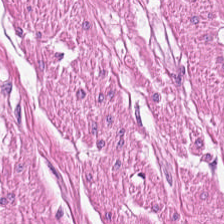Stain: H&E.
Acquisition: brightfield microscopy.
Classification: muscularis.
